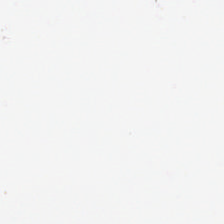FFPE tissue section; brightfield; H&E-stained tissue section.
Background.
